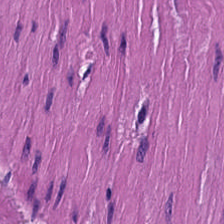H&E — Tissue type: smooth-muscle tissue.
